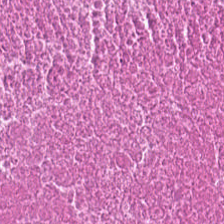{"tissue_type": "debris"}
